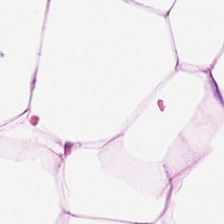Q: Identify the tissue.
A: It is adipocytes.
